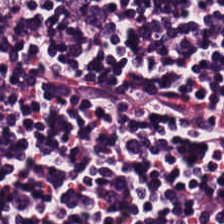Hematoxylin and eosin — The tissue here is lymphocytes.
